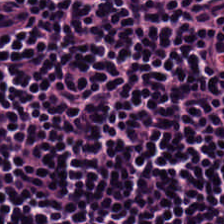Stain: hematoxylin-and-eosin stained section.
Tissue: lymphocytes.
